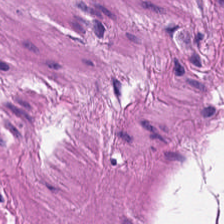Stain: H&E.
Tissue: smooth-muscle tissue.
